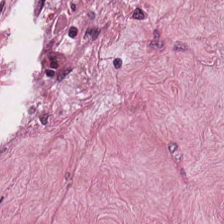Classification: tumor-associated stroma.
